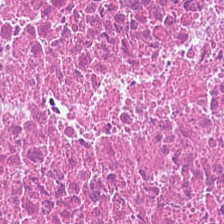224×224 pixel tile. Hematoxylin-and-eosin stained section.
Necrotic debris.
